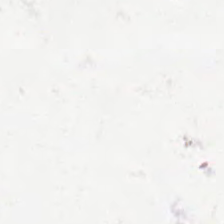Stain: hematoxylin-and-eosin stained section.
Content: background.
